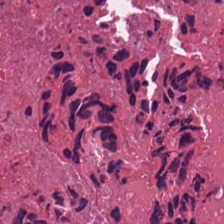Hematoxylin and eosin. Q: What tissue is shown?
A: The field shows cellular debris.
